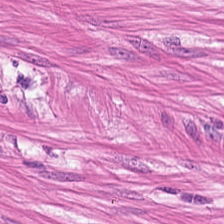Hematoxylin-and-eosin stained section.
The tissue here is muscularis.
